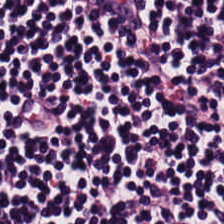This field is lymphocytic infiltrate.
